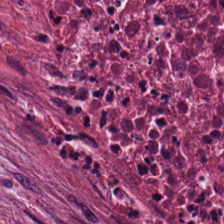The tissue type is necrotic debris.
